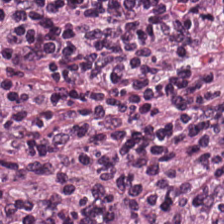Brightfield microscopy; H&E stain; formalin-fixed paraffin-embedded section — Q: What is shown in this field?
A: It is lymphocytes.
